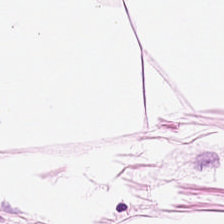Hematoxylin and eosin. Q: What tissue type is shown here?
A: Adipose tissue.
